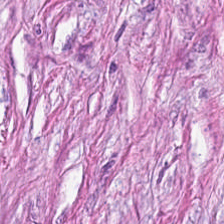Hematoxylin-and-eosin section: desmoplastic stroma.
